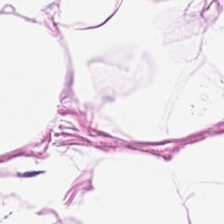Hematoxylin-and-eosin section: adipocytes.
